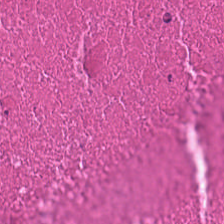Hematoxylin-and-eosin stained section — This field is cellular debris.
